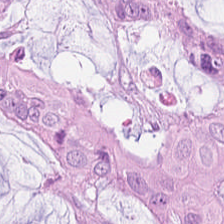Tissue class = adenocarcinoma.
